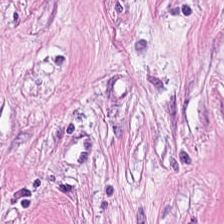H&E — Q: What does this patch show?
A: It is cancer-associated stroma.
